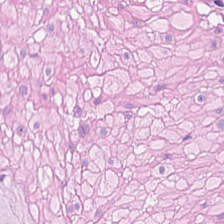The tissue here is smooth muscle.
